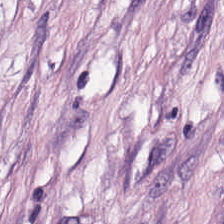Hematoxylin-and-eosin stained section.
Tissue class: tumor stroma.
